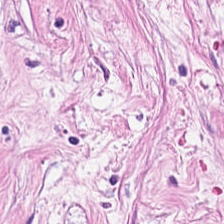H&E-stained section; the field shows tumor stroma.
